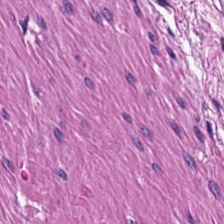Hematoxylin-and-eosin stained section.
Impression → muscularis.
